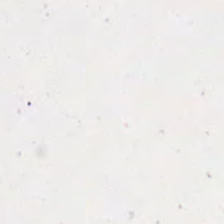Q: Classify this patch.
A: Background.
